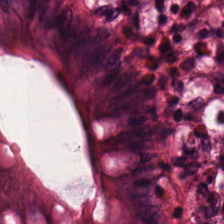Hematoxylin-and-eosin stained section · 224×224 pixel tile — Normal colonic mucosa.
